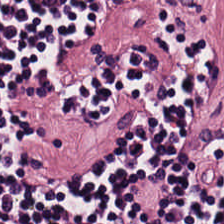H&E-stained tissue section.
Showing lymphocytes.
